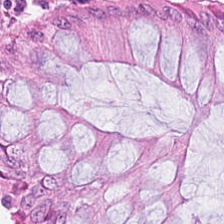The tissue here is non-neoplastic colon mucosa.
